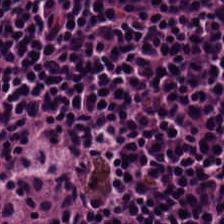H&E-stained tissue section — Tissue class — lymphoid infiltrate.
